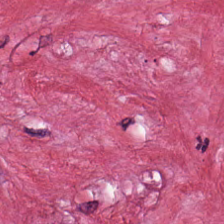FFPE tissue section; 224×224 px tile; hematoxylin-and-eosin stained section — Histology → tumor stroma.
